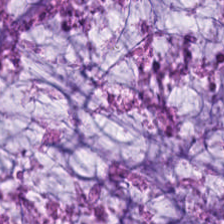H&E stain — The predominant tissue is extracellular mucin.
